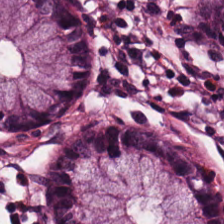Hematoxylin and eosin — Tissue class — normal colon mucosa.
